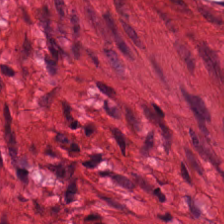Stain: H&E-stained tissue section.
Tissue: muscularis.
